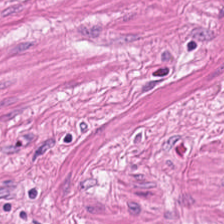{"tissue_type": "smooth muscle"}
